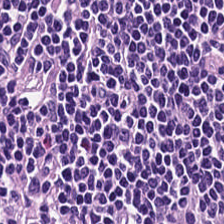224×224 pixel tile · formalin-fixed paraffin-embedded section · hematoxylin and eosin.
Q: What tissue type is shown here?
A: Lymphocytes.
